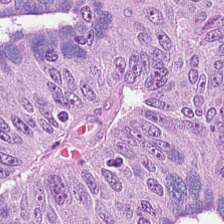The tissue type is colorectal adenocarcinoma.
